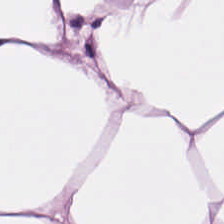Formalin-fixed paraffin-embedded section; hematoxylin and eosin — Histology — fat tissue.
